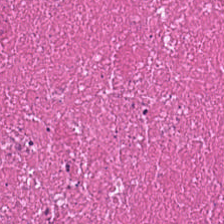H&E patch showing necrotic debris.
